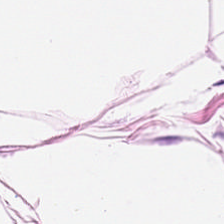FFPE · H&E — Tissue class = adipose.
